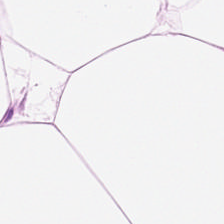H&E patch showing adipose.
